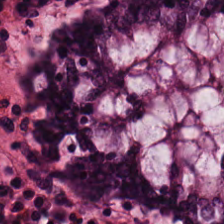Q: What does this patch show?
A: The field shows normal colon mucosa.
